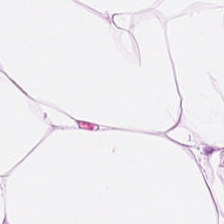H&E stain. FFPE — Fat tissue.
